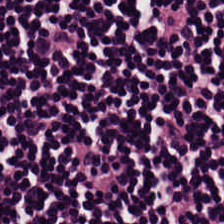Tissue type = lymphocytes.
